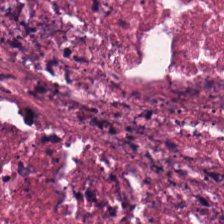H&E. Brightfield. 224×224 px patch.
The classification is cellular debris.
